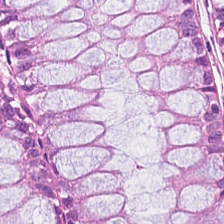Predominantly normal colon mucosa.
